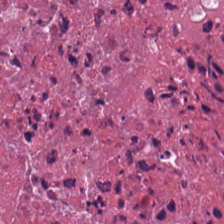Stain: H&E-stained tissue section.
Tissue class: debris.
